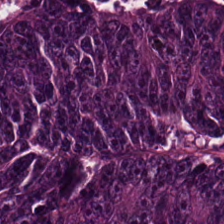The predominant tissue is colorectal adenocarcinoma.
